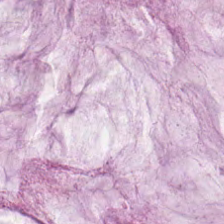0.5 µm/px; H&E. Tissue class: extracellular mucin.
